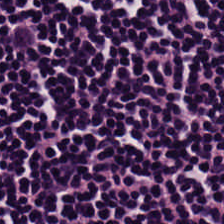{"tissue_type": "lymphoid infiltrate"}
